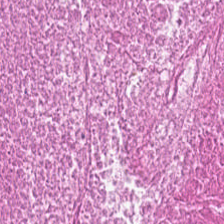This field is debris.
